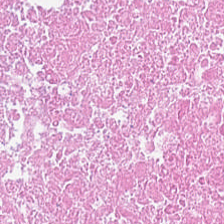20× equivalent magnification; H&E; formalin-fixed paraffin-embedded section. Classification — debris.
